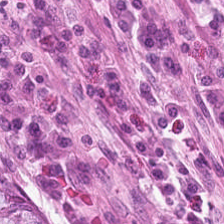224×224 pixel tile; H&E — The tissue type is benign colonic mucosa.
